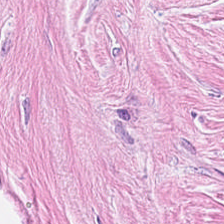H&E stain; 224×224 pixel tile; 0.5 microns per pixel — Q: Classify this patch.
A: It is tumor-associated stroma.
